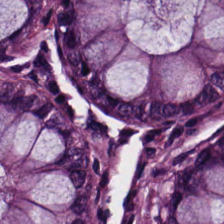Whole-slide-image patch · 224×224 pixel tile · H&E stain — Histology — non-neoplastic colon mucosa.
